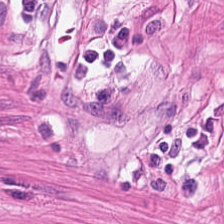Hematoxylin-and-eosin stained section · brightfield microscopy. Showing smooth-muscle tissue.
